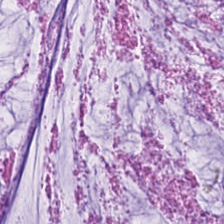H&E-stained tissue section. This field is extracellular mucin.
